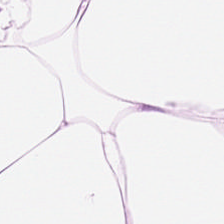Stain: hematoxylin and eosin.
Preparation: FFPE tissue section.
Tissue class: adipose.
